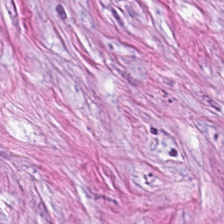Hematoxylin-and-eosin stained section. Predominantly desmoplastic stroma.
